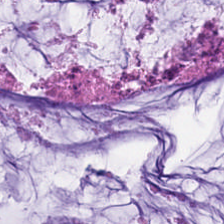Tissue — extracellular mucin.
